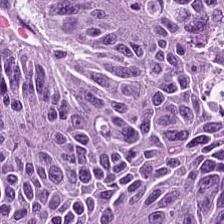The tissue type is colorectal adenocarcinoma.
